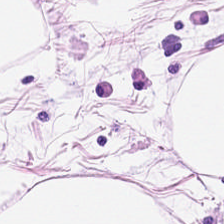H&E. This patch shows adipose tissue.
